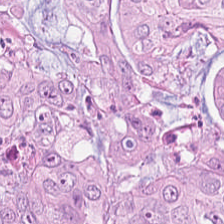Hematoxylin and eosin. Classification = colorectal adenocarcinoma.
